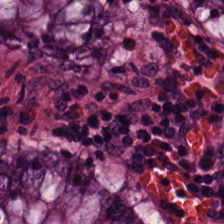Stain: H&E.
Tissue: normal colonic mucosa.
